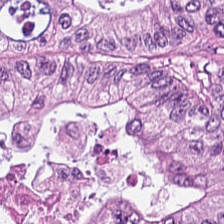Brightfield. H&E. 20× equivalent magnification. This patch shows colorectal adenocarcinoma epithelium.
